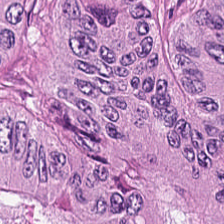Hematoxylin-and-eosin stained section · 224×224 px patch · whole-slide-image patch. Q: What is shown here?
A: Colorectal adenocarcinoma epithelium.
